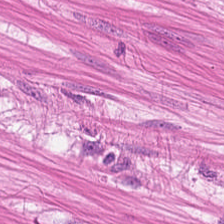Hematoxylin-and-eosin stained section; 20× equivalent magnification; FFPE.
Classification = smooth muscle.
